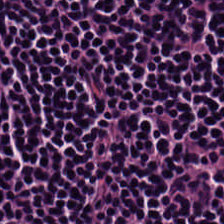Brightfield; hematoxylin and eosin — Q: What is the predominant tissue type?
A: Lymphocyte aggregate.
